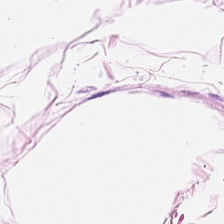H&E. {"tissue_type": "adipose"}
